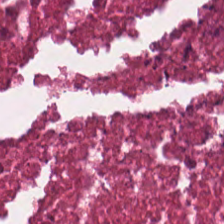224×224 px patch · whole-slide-image patch · hematoxylin-and-eosin stained section.
This patch shows debris.
